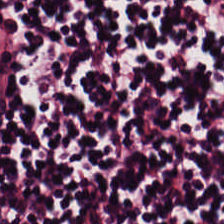Whole-slide-image patch. H&E — The tissue class is lymphocytes.
